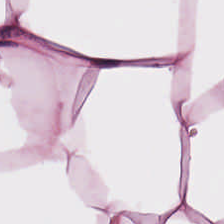Stain: H&E.
Tile size: 224×224 px tile.
Resolution: 0.5 microns per pixel.
Predominant tissue: adipose tissue.
